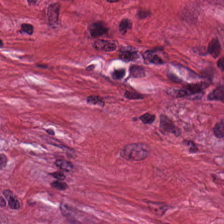H&E — Classification — desmoplastic stroma.
